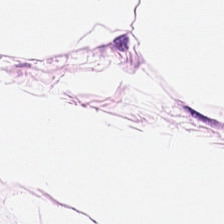H&E-stained tissue section; FFPE tissue section — {"tissue_type": "adipose"}
